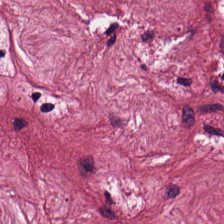H&E.
The predominant tissue is desmoplastic stroma.
